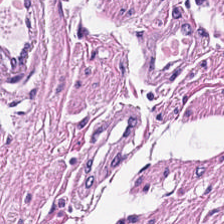H&E stain. Histology → smooth-muscle tissue.
